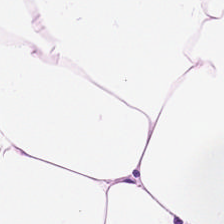This patch shows fat tissue.
